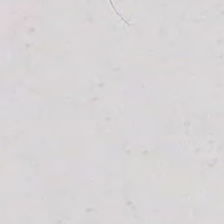H&E — Q: What is shown here?
A: This is empty background.
